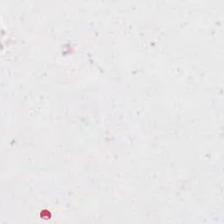20× equivalent magnification. H&E stain. Background — no tissue in this field.
